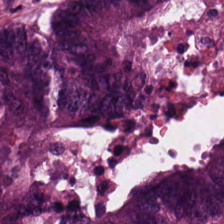H&E-stained tissue section — Showing colorectal adenocarcinoma epithelium.
